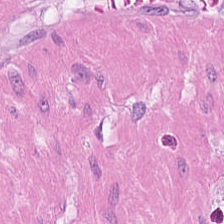H&E stain.
Tissue type: muscularis.
